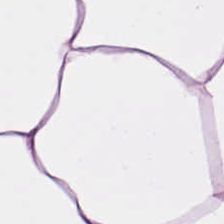H&E stain; brightfield.
Predominant tissue: adipocytes.
